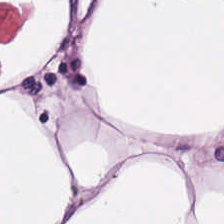H&E stain. Predominantly adipose tissue.
